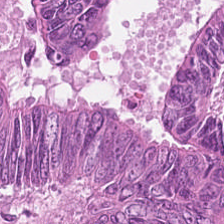H&E — Predominantly adenocarcinoma.
